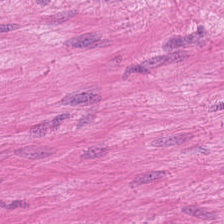Hematoxylin-and-eosin stained section — This patch shows smooth-muscle tissue.
